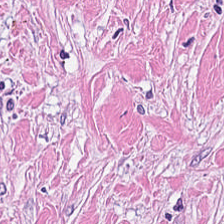H&E stain.
This field is tumor stroma.
